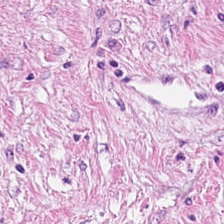Tissue class: tumor stroma.
